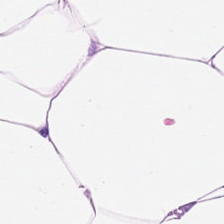Hematoxylin and eosin · FFPE tissue section. Showing adipose.
